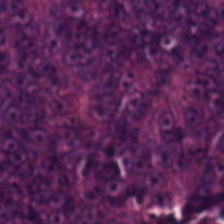H&E — Histology — tumor epithelium.
